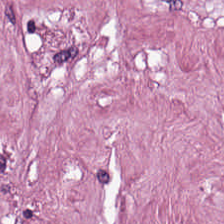H&E-stained tissue section.
Finding — desmoplastic stroma.
